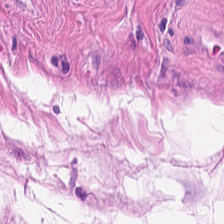H&E-stained tissue section; 224×224 pixel tile; 0.5 microns per pixel.
Smooth muscle.
